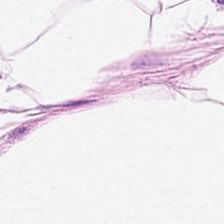Whole-slide-image patch · H&E stain · FFPE. Predominantly adipose tissue.
